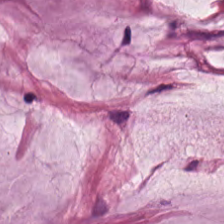H&E stain. Brightfield microscopy — This patch shows mucus.
